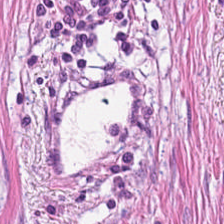H&E-stained tissue section — {"tissue_type": "desmoplastic stroma"}
